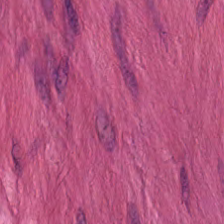H&E.
Smooth muscle.
